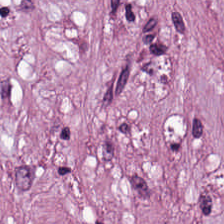H&E-stained tissue section — The tissue here is desmoplastic stroma.
